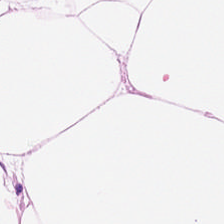Stain: H&E.
Predominant tissue: adipose tissue.
